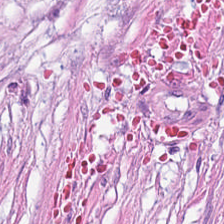H&E-stained tissue section · formalin-fixed paraffin-embedded section.
Tissue — tumor-associated stroma.
